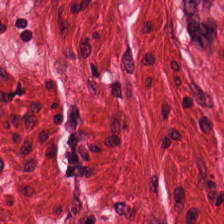This patch shows smooth-muscle tissue.
